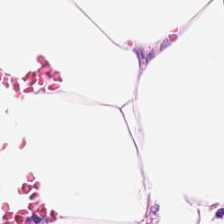224×224 px patch; H&E-stained tissue section; brightfield.
Adipose.
